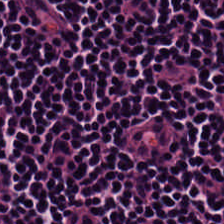Impression → lymphoid infiltrate.
